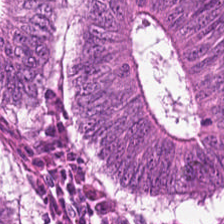Brightfield. FFPE. Hematoxylin and eosin. This field is adenocarcinoma.
